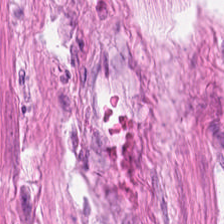224×224 pixel tile; whole-slide-image patch; hematoxylin and eosin. Finding — smooth muscle.
